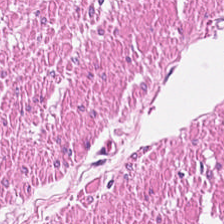H&E stain. Brightfield microscopy — Q: What is shown in this field?
A: This is muscularis.
